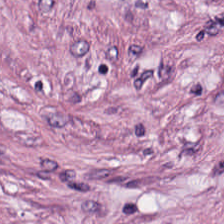Whole-slide-image patch. 0.5 microns per pixel. Hematoxylin and eosin. {"tissue_type": "tumor stroma"}
